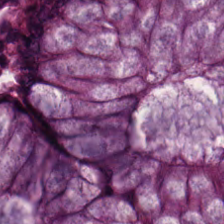H&E-stained tissue section.
This patch shows normal colonic mucosa.
